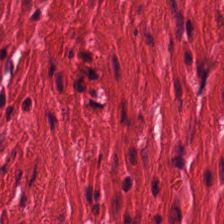H&E stain — The predominant tissue is smooth muscle.
